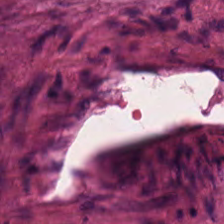0.5 µm per pixel. Hematoxylin-and-eosin stained section. This field is desmoplastic stroma.
